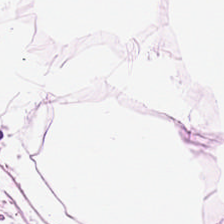This patch shows adipose.
